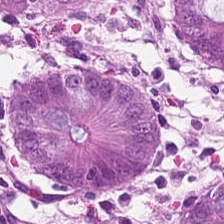Hematoxylin and eosin. Q: What does this patch show?
A: The field shows normal colon mucosa.
